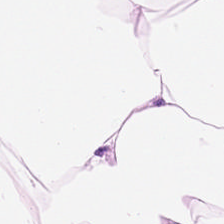H&E stain.
Q: Identify the tissue.
A: The field shows fat tissue.
